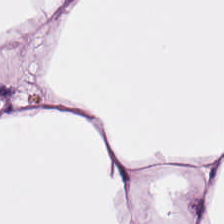H&E — Q: What tissue is shown?
A: The field shows fat tissue.
